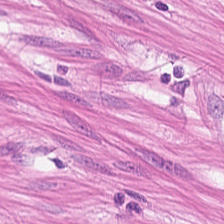H&E.
Muscularis.
